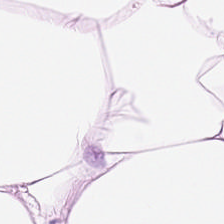Stain: H&E.
Tissue type: adipose.
